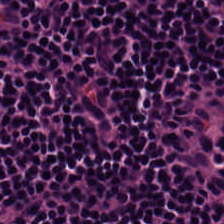224×224 pixel tile. Hematoxylin and eosin — Predominant tissue: lymphocytes.
